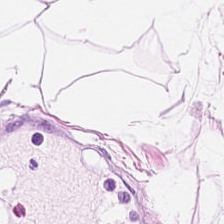Whole-slide-image patch; H&E stain. {"tissue_type": "adipose"}
